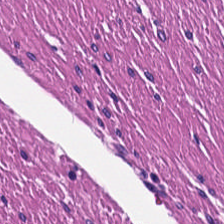Hematoxylin-and-eosin stained section · 0.5 microns per pixel.
{"tissue_type": "smooth-muscle tissue"}
